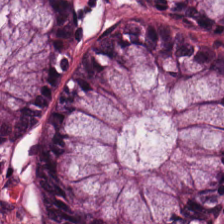Stain: H&E stain.
Classification: normal colon mucosa.
